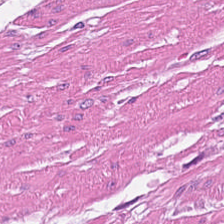H&E.
Tissue = smooth-muscle tissue.
